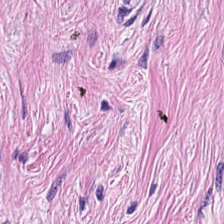The predominant tissue is desmoplastic stroma.
